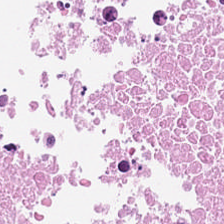H&E stain · 0.5 µm per pixel · FFPE tissue section — Histology → debris.
